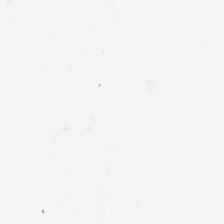Formalin-fixed paraffin-embedded section. Hematoxylin-and-eosin stained section — This patch shows background (no tissue).
